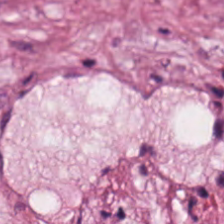H&E-stained tissue section — This field is desmoplastic stroma.
